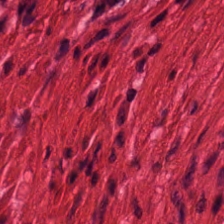{"tissue_type": "smooth-muscle tissue"}
